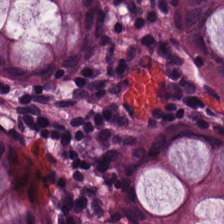Hematoxylin and eosin; 0.5 µm/px — The tissue is normal colon mucosa.
